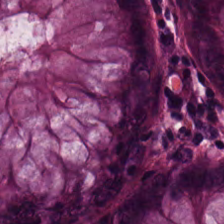H&E stain. Tissue = non-neoplastic colon mucosa.
